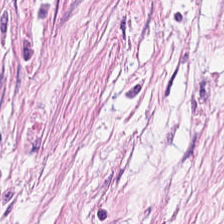H&E. This field is tumor stroma.
